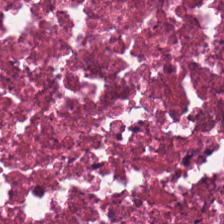Finding → necrotic debris.
